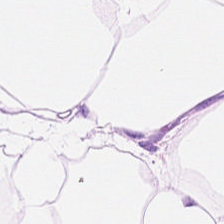H&E · 224×224 px patch — Tissue type = adipocytes.
